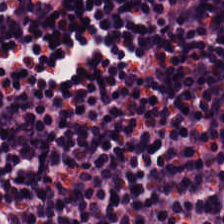Stain: H&E.
Preparation: FFPE.
Tissue type: lymphocyte aggregate.
